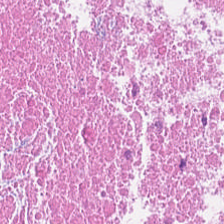Hematoxylin and eosin — This field is necrotic debris.
